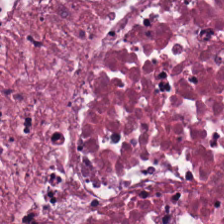H&E stain — The predominant tissue is cellular debris.
